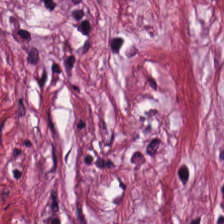The predominant tissue is tumor-associated stroma.
